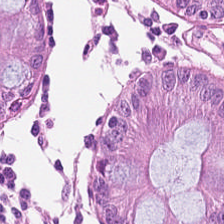Q: Classify this patch.
A: Normal colonic mucosa.
